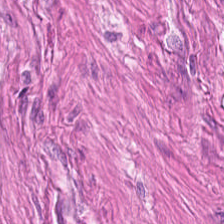Q: What is the predominant tissue type?
A: Muscularis.
